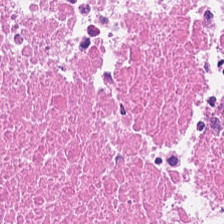Brightfield microscopy · 0.5 µm/px · H&E stain. Q: What type of tissue is this?
A: It is cellular debris.
